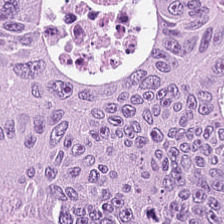0.5 µm/px; H&E stain. Histology → colorectal adenocarcinoma.
